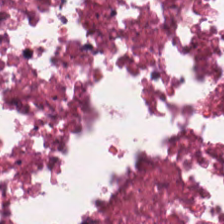Predominant tissue = necrotic debris.
